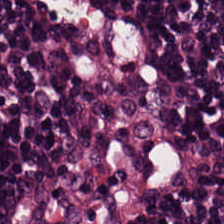Hematoxylin and eosin. Q: What does this patch show?
A: Lymphoid infiltrate.
